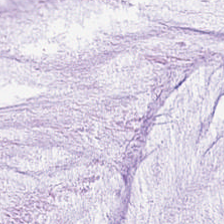H&E-stained tissue section — Predominant tissue = extracellular mucin.
